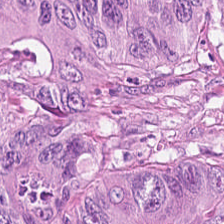Stain: H&E stain.
Classification: tumor epithelium.
